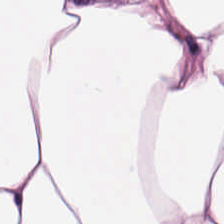Impression — adipose.
